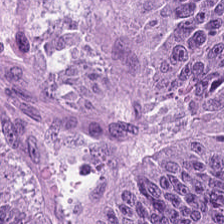H&E; 224×224 px patch; 0.5 µm/px — Showing adenocarcinoma.
